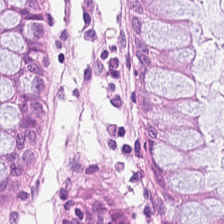H&E-stained tissue section.
Non-neoplastic colon mucosa.
